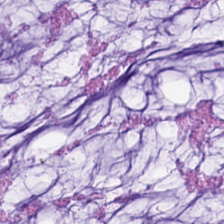H&E-stained tissue section.
Tissue type = mucus.
